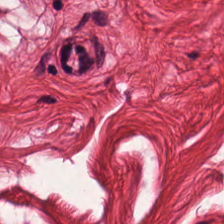The predominant tissue is muscularis.
